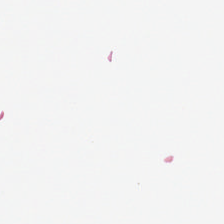Hematoxylin-and-eosin stained section. Classification: background (no tissue).
